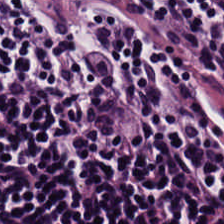Hematoxylin-and-eosin stained section.
This patch shows lymphoid infiltrate.
